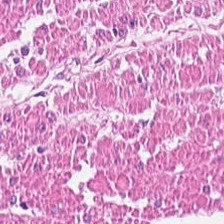20× equivalent magnification · 224×224 px patch · H&E — This field is muscularis.
